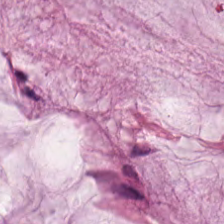Formalin-fixed paraffin-embedded section · H&E stain — Tissue — extracellular mucin.
